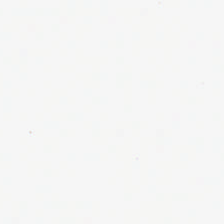Brightfield · hematoxylin-and-eosin stained section.
The field content is no tissue.
